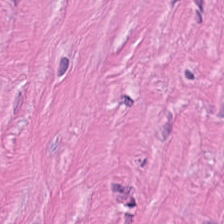The predominant tissue is tumor-associated stroma.
